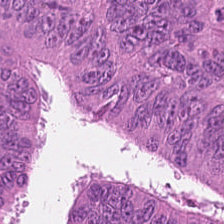The predominant tissue is malignant epithelium.
